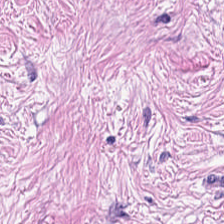Hematoxylin-and-eosin stained section. Predominantly tumor stroma.
